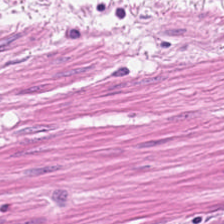Stain: H&E stain.
Tissue: muscularis.
